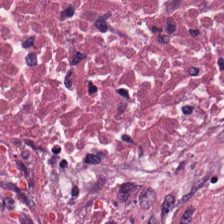224×224 pixel tile. H&E-stained tissue section.
Predominant tissue: necrotic debris.
